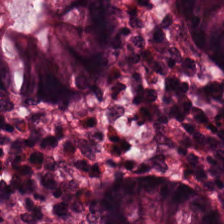FFPE. H&E-stained tissue section. This patch shows non-neoplastic colon mucosa.
